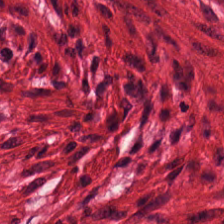20× equivalent magnification; hematoxylin and eosin; 224×224 pixel tile. The tissue is muscularis.
